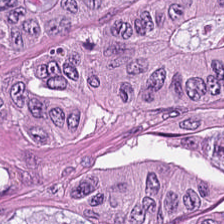Stain: hematoxylin and eosin.
Preparation: formalin-fixed paraffin-embedded section.
Tissue type: adenocarcinoma.
